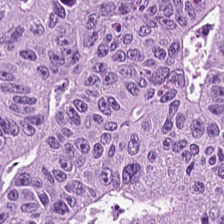H&E — tumor epithelium.
